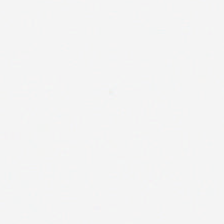Stain: hematoxylin-and-eosin stained section.
Classification: background (no tissue).
